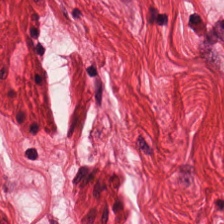H&E-stained tissue section — Predominantly smooth-muscle tissue.
